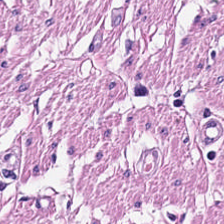Stain: hematoxylin and eosin.
Predominant tissue: muscularis.
